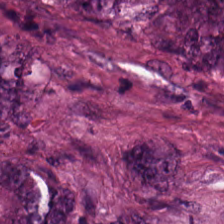Stain: H&E.
Acquisition: brightfield.
Tissue: colorectal adenocarcinoma.
